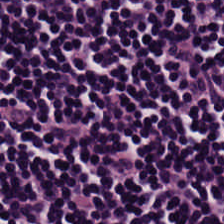Hematoxylin-and-eosin stained section · 224×224 px patch.
Histology — lymphocytic infiltrate.
